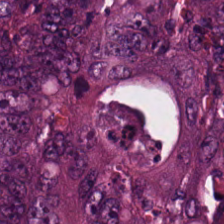Q: What tissue type is shown here?
A: Colorectal adenocarcinoma.
